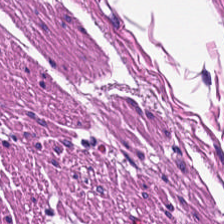H&E stain; FFPE; 0.5 µm per pixel — The predominant tissue is muscularis.
